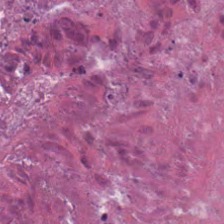H&E; 224×224 pixel tile; 20× equivalent magnification.
Histology → debris.
